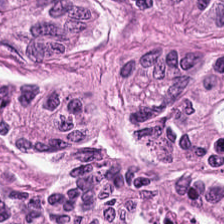20× equivalent magnification; H&E-stained tissue section.
This field is tumor epithelium.
